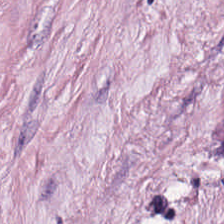224×224 pixel tile · H&E. Q: What does this patch show?
A: Cancer-associated stroma.
